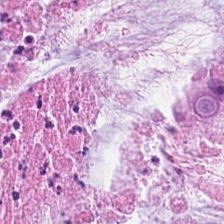H&E.
Classification — mucin.
